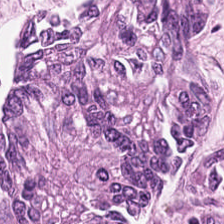Formalin-fixed paraffin-embedded section · H&E. The predominant tissue is colorectal adenocarcinoma epithelium.
